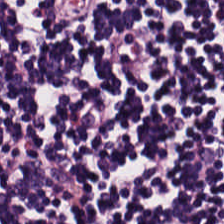Q: What does this patch show?
A: It is lymphocyte aggregate.
